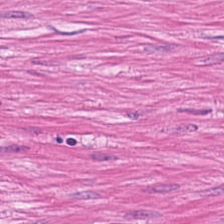FFPE tissue section; 224×224 px tile; hematoxylin and eosin.
{"tissue_type": "smooth-muscle tissue"}
